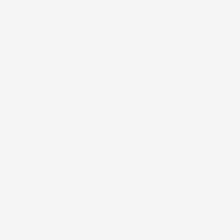Impression — background.
